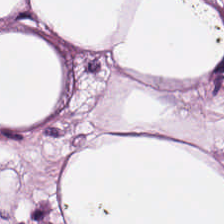Hematoxylin and eosin.
Q: Identify the tissue.
A: This is adipose.
